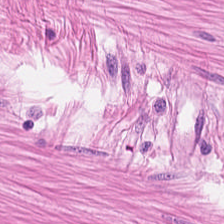H&E stain · FFPE tissue section · brightfield. Tissue type: smooth muscle.
